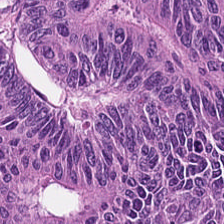Tissue type — colorectal adenocarcinoma.
